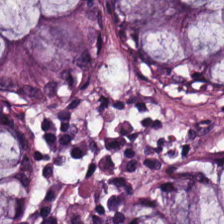Brightfield microscopy · hematoxylin-and-eosin stained section · 224×224 px tile.
This patch shows non-neoplastic colon mucosa.
